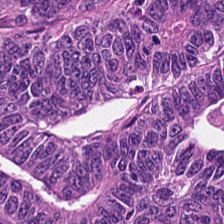H&E stain · WSI patch.
The predominant tissue is tumor epithelium.
